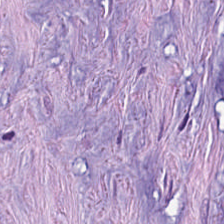H&E-stained tissue section · whole-slide-image patch · 0.5 microns per pixel.
Predominantly tumor stroma.
